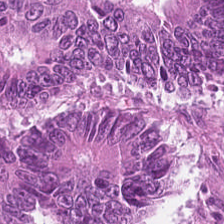Hematoxylin and eosin.
Tissue class = tumor epithelium.
